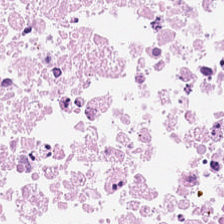Hematoxylin-and-eosin stained section.
This patch shows necrotic debris.
